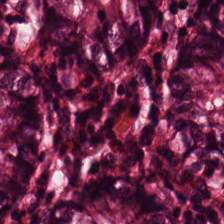Hematoxylin-and-eosin stained section.
Showing non-neoplastic colon mucosa.
